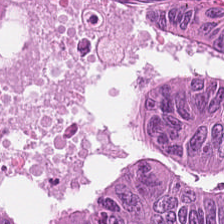The predominant tissue is colorectal adenocarcinoma epithelium.
